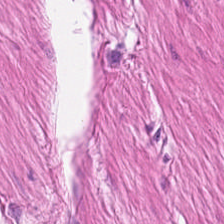Stain: H&E.
Predominant tissue: smooth-muscle tissue.
